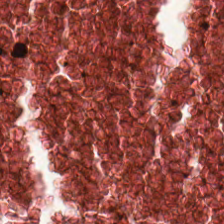0.5 µm per pixel. H&E.
Predominant tissue = cellular debris.
